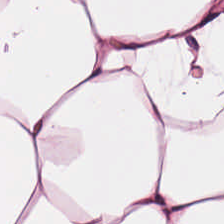Formalin-fixed paraffin-embedded section · H&E-stained tissue section · brightfield.
Q: What is the predominant tissue type?
A: It is fat tissue.
